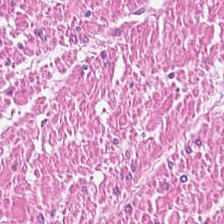H&E stain. Classification = smooth-muscle tissue.
